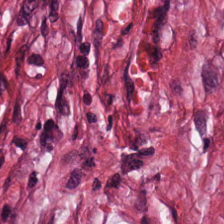This field is tumor stroma.
